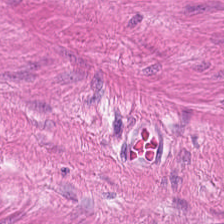Tissue class = muscularis.
